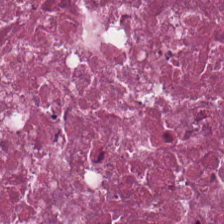Formalin-fixed paraffin-embedded section. Hematoxylin-and-eosin stained section. Impression — debris.
